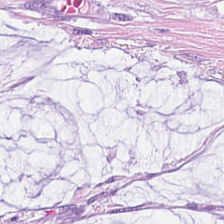H&E — Predominantly extracellular mucin.
